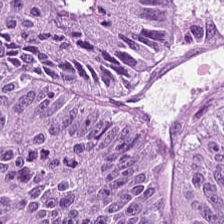Q: What does this patch show?
A: The field shows colorectal adenocarcinoma epithelium.
